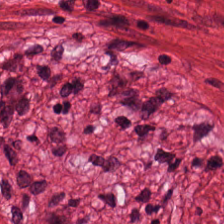H&E — smooth-muscle tissue.
